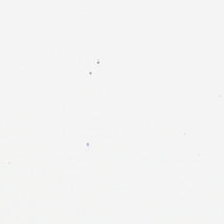Impression → no tissue.
